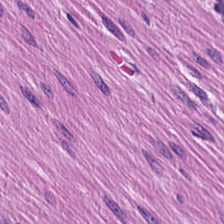FFPE tissue section · hematoxylin-and-eosin stained section. Smooth-muscle tissue.
